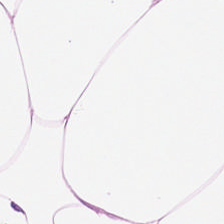Showing adipocytes.
